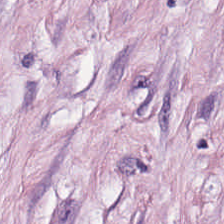Hematoxylin-and-eosin stained section. The classification is cancer-associated stroma.
